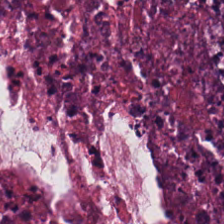Hematoxylin-and-eosin stained section — Predominantly necrotic debris.
